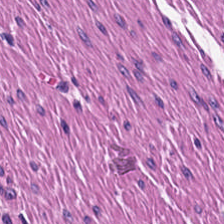H&E stain.
This patch shows muscularis.
